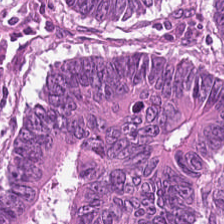H&E-stained tissue section — Predominant tissue — adenocarcinoma.
